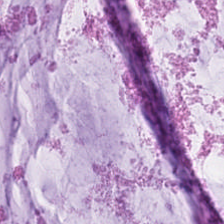H&E. 0.5 µm/px.
Classification — mucus.
